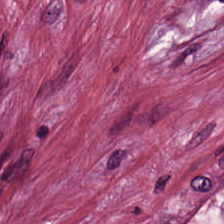224×224 px patch. Hematoxylin and eosin.
Finding — cancer-associated stroma.
